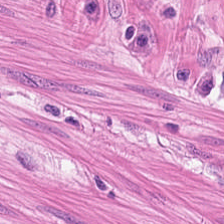Hematoxylin-and-eosin stained section. FFPE. 20× equivalent magnification — Histology → muscularis.
